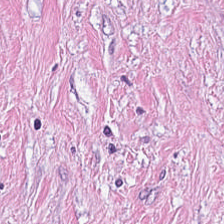The tissue here is tumor-associated stroma.
